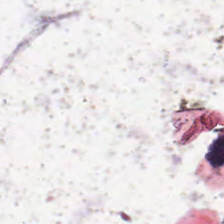This patch shows no tissue.
